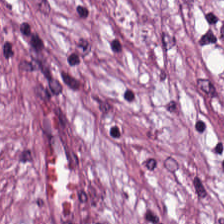H&E-stained tissue section showing tumor-associated stroma.
